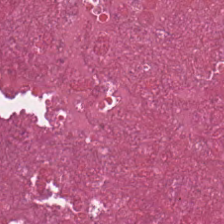Hematoxylin-and-eosin stained section. 0.5 µm per pixel. FFPE.
Tissue — debris.
